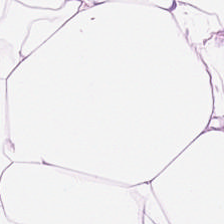224×224 pixel tile · hematoxylin and eosin.
This field is adipocytes.
